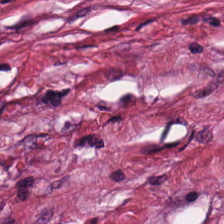H&E — Tissue type = tumor stroma.
